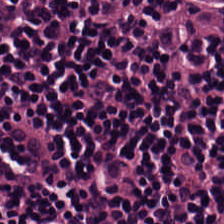Stain: H&E.
Tile size: 224×224 pixel tile.
Predominant tissue: lymphoid infiltrate.
